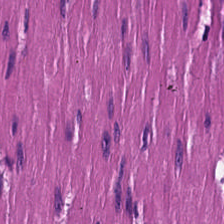Stain: H&E stain.
Tissue class: smooth-muscle tissue.
